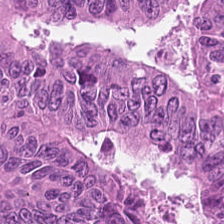H&E · brightfield · FFPE tissue section — The tissue here is adenocarcinoma.
